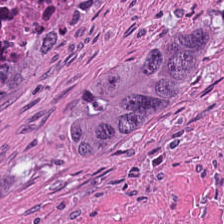H&E stain. Showing cellular debris.
